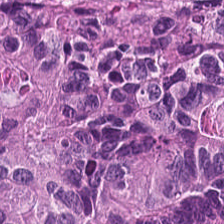H&E-stained tissue section showing tumor epithelium.
